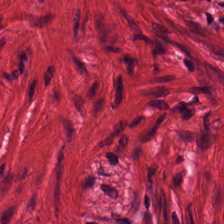Stain: hematoxylin and eosin.
Preparation: formalin-fixed paraffin-embedded section.
Predominant tissue: muscularis.
